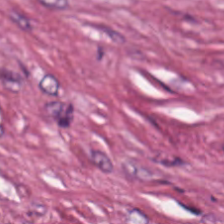Tissue class — cancer-associated stroma.
